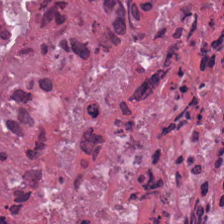H&E-stained tissue section. The predominant tissue is cellular debris.
